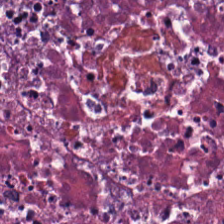H&E-stained tissue section. Finding — cellular debris.
